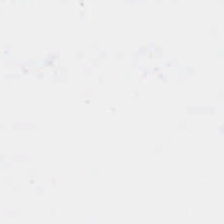The content is no tissue.
